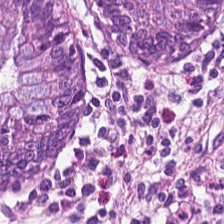224×224 px tile · H&E stain · FFPE tissue section — The predominant tissue is benign colonic mucosa.
